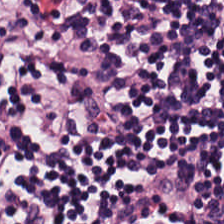Q: What tissue is shown?
A: Lymphoid infiltrate.
